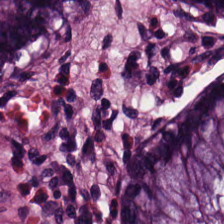FFPE. Brightfield. H&E-stained tissue section. {"tissue_type": "normal colonic mucosa"}
